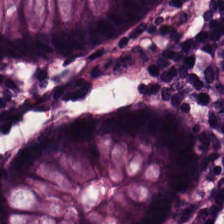H&E.
This field is non-neoplastic colon mucosa.
